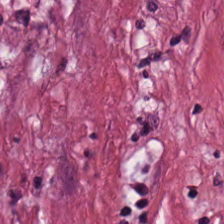H&E stain. Showing tumor-associated stroma.
